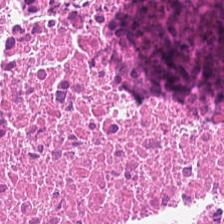224×224 px tile · hematoxylin and eosin — Q: What type of tissue is this?
A: It is debris.
